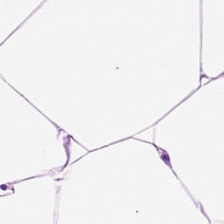Q: What is the predominant tissue type?
A: It is adipose tissue.
